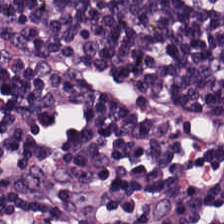20× equivalent magnification; hematoxylin and eosin; brightfield microscopy.
Lymphocyte aggregate.
